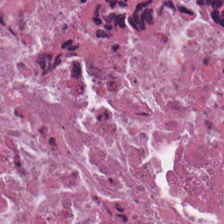H&E. Q: What tissue type is shown here?
A: Cellular debris.
